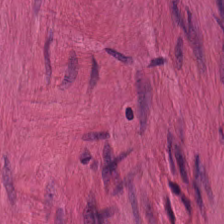Hematoxylin and eosin · WSI patch.
Q: What does this patch show?
A: This is muscularis.
